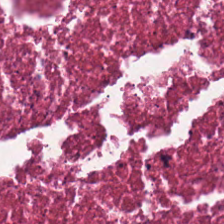Formalin-fixed paraffin-embedded section. H&E. 0.5 µm/px — Q: Identify the tissue.
A: The field shows necrotic debris.
